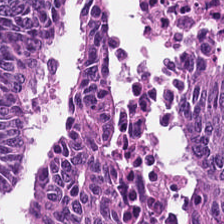Stain: H&E stain.
Predominant tissue: malignant epithelium.
